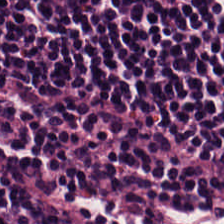Histology — lymphocyte aggregate.
